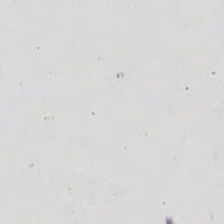{"content": "background"}
